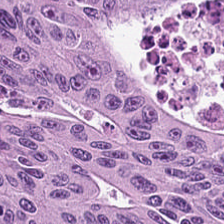H&E-stained tissue section — Histology — colorectal adenocarcinoma epithelium.
